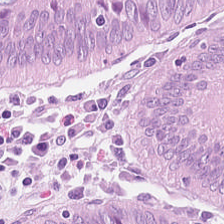H&E.
Benign colonic mucosa.
